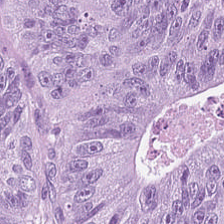Hematoxylin-and-eosin stained section · brightfield · formalin-fixed paraffin-embedded section — Tissue = colorectal adenocarcinoma.
